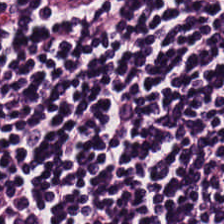0.5 µm/px · H&E. Showing lymphocytes.
